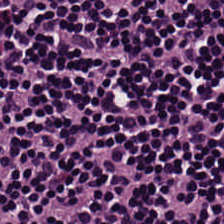The tissue type is lymphoid infiltrate.
